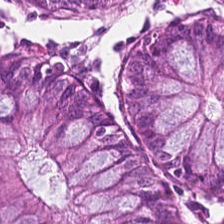H&E stain · whole-slide-image patch. This patch shows normal colonic mucosa.
